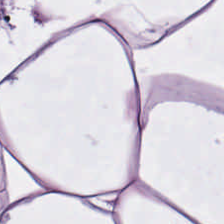H&E.
Adipocytes.
